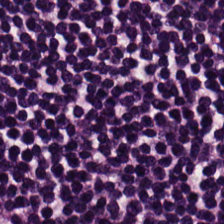H&E-stained tissue section. Q: What does this patch show?
A: It is lymphoid infiltrate.
